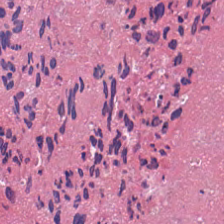224×224 px patch · hematoxylin-and-eosin stained section · 20× equivalent magnification. The predominant tissue is debris.
